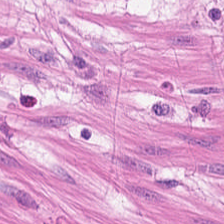H&E stain.
Classification: smooth muscle.
